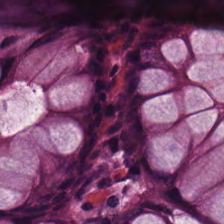0.5 µm/px. Hematoxylin-and-eosin stained section.
The predominant tissue is benign colonic mucosa.
